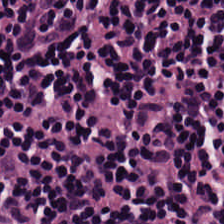Stain: H&E-stained tissue section.
Classification: lymphocytic infiltrate.
